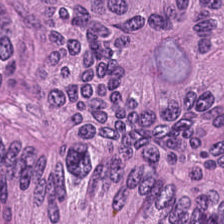H&E-stained tissue section showing malignant epithelium.
